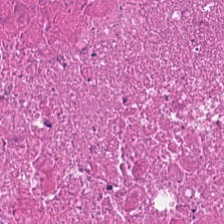Predominantly debris.
